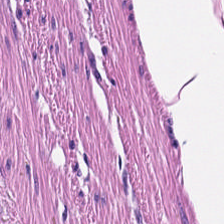224×224 pixel tile; H&E-stained tissue section.
The predominant tissue is muscularis.
